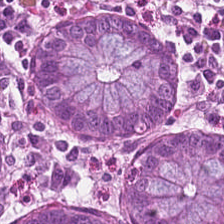H&E; 0.5 µm per pixel. Tissue type — benign colonic mucosa.
